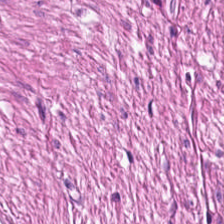H&E stain · brightfield microscopy. Q: What is the predominant tissue type?
A: This is smooth-muscle tissue.
